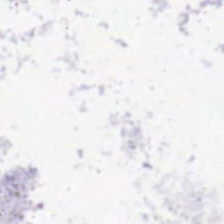FFPE. Whole-slide-image patch. H&E stain. The content is empty background.
